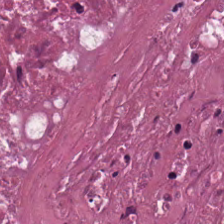Hematoxylin and eosin.
Tissue: cellular debris.
